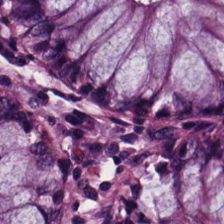FFPE tissue section · H&E.
Q: Classify this patch.
A: Non-neoplastic colon mucosa.
